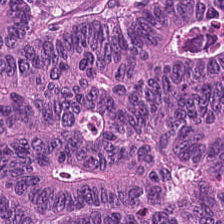Q: What is shown in this field?
A: It is tumor epithelium.
